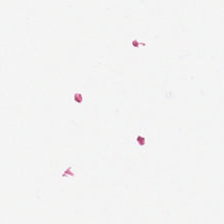0.5 microns per pixel. Formalin-fixed paraffin-embedded section. Hematoxylin-and-eosin stained section.
This field is background (no tissue).
